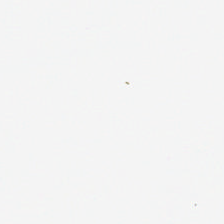0.5 µm per pixel; 224×224 px tile; hematoxylin and eosin — Background — no tissue in this field.
